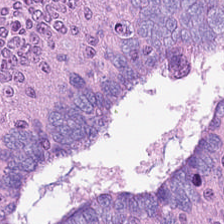Tissue type = malignant epithelium.
